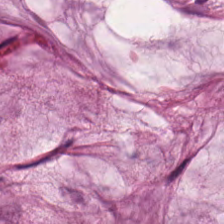{"tissue_type": "mucin"}
